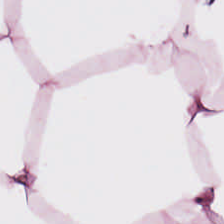H&E-stained tissue section — Impression → adipose.
